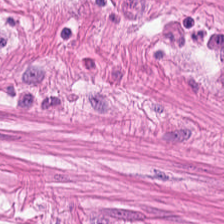H&E stain. 0.5 µm/px. This patch shows smooth muscle.
